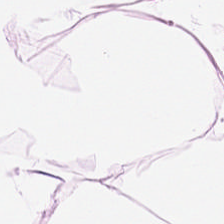Q: Identify the tissue.
A: It is adipose.
